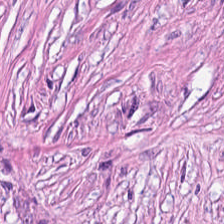Hematoxylin-and-eosin stained section. Tissue class — desmoplastic stroma.
